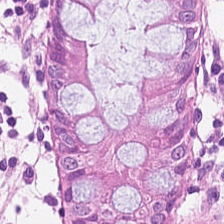Q: What tissue is shown?
A: Non-neoplastic colon mucosa.
